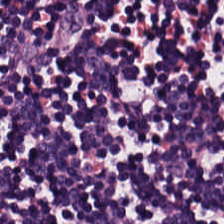H&E · formalin-fixed paraffin-embedded section · 0.5 microns per pixel.
The predominant tissue is lymphocyte aggregate.
